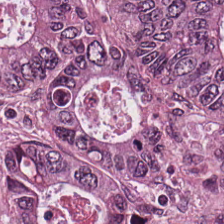H&E stain; 20× equivalent magnification — Showing tumor epithelium.
